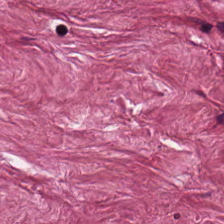H&E-stained tissue section.
Tissue type — tumor-associated stroma.
